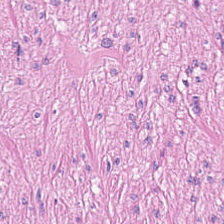Hematoxylin-and-eosin stained section. Tissue class — smooth-muscle tissue.
